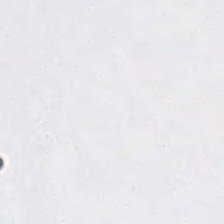H&E — Background (no tissue).
